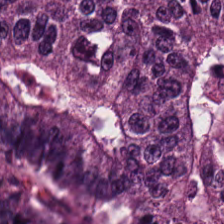H&E stain.
The tissue is colorectal adenocarcinoma epithelium.
